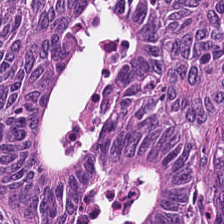224×224 px patch; H&E.
The tissue here is colorectal adenocarcinoma epithelium.
